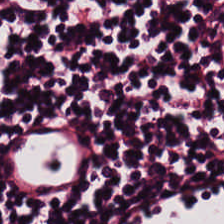H&E-stained tissue section — Tissue class — lymphocytes.
